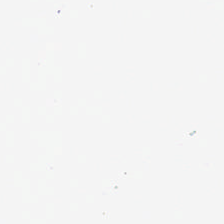Hematoxylin-and-eosin stained section; 224×224 pixel tile; FFPE tissue section — Histology — background.
